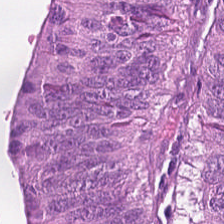Hematoxylin and eosin — Tissue class — tumor epithelium.
